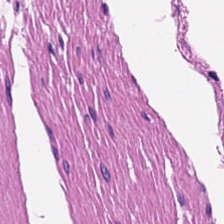Hematoxylin and eosin — Impression — smooth-muscle tissue.
